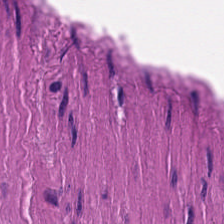Hematoxylin-and-eosin stained section — Q: Classify this patch.
A: The field shows muscularis.
